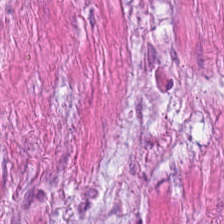H&E-stained tissue section — This patch shows smooth-muscle tissue.
